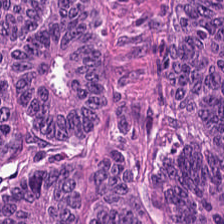Histology — colorectal adenocarcinoma epithelium.
